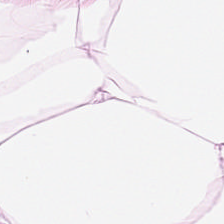H&E stain. Histology → adipose tissue.
